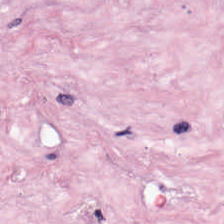Hematoxylin and eosin; 224×224 pixel tile — Classification = desmoplastic stroma.
